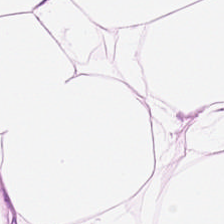H&E stain. Predominant tissue — adipocytes.
